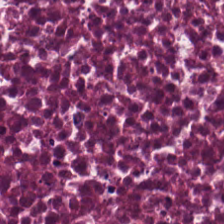Hematoxylin-and-eosin stained section.
Predominantly necrotic debris.
